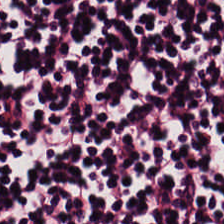Brightfield; hematoxylin and eosin; 224×224 px tile — This field is lymphoid infiltrate.
